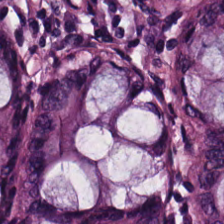H&E stain. The tissue here is non-neoplastic colon mucosa.
